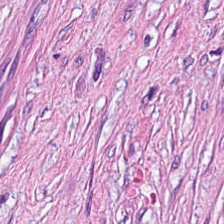H&E stain. Q: What is shown in this field?
A: This is cancer-associated stroma.
